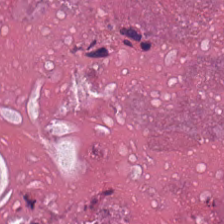FFPE · brightfield · hematoxylin-and-eosin stained section — The predominant tissue is necrotic debris.
